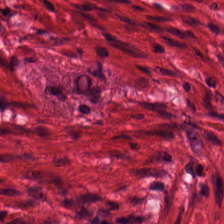Stain: H&E-stained tissue section.
Acquisition: WSI patch.
Tile size: 224×224 px tile.
Tissue: smooth-muscle tissue.
